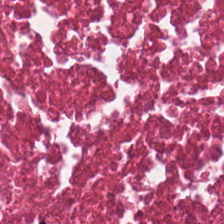Histology → debris.
